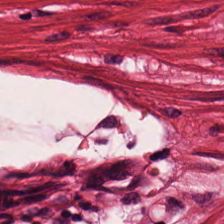H&E stain — Tissue: smooth-muscle tissue.
